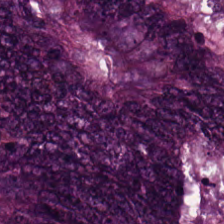The tissue type is malignant epithelium.
